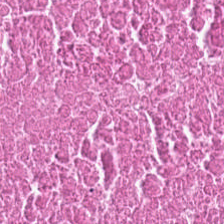Hematoxylin-and-eosin stained section — {"tissue_type": "cellular debris"}
